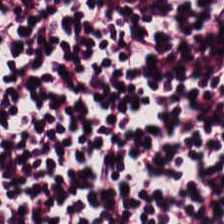H&E-stained tissue section · FFPE.
The tissue here is lymphocyte aggregate.
